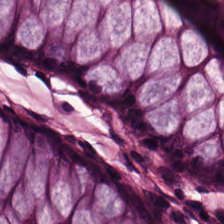Stain: hematoxylin and eosin.
Predominant tissue: normal colon mucosa.
